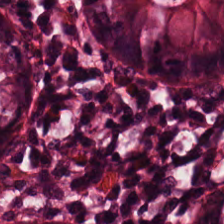224×224 pixel tile; H&E-stained tissue section; brightfield.
Tissue class = normal colon mucosa.
